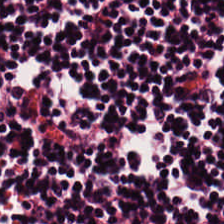H&E stain. 224×224 px patch.
Q: What type of tissue is this?
A: The field shows lymphocytic infiltrate.
